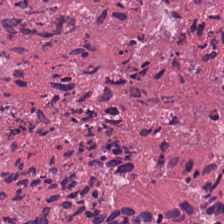Hematoxylin-and-eosin stained section — Finding — debris.
